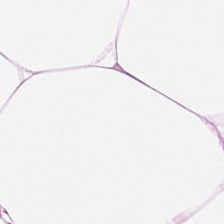Q: What is shown in this field?
A: It is adipocytes.
